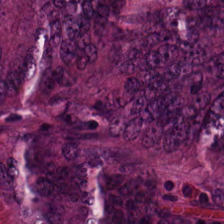H&E. Showing adenocarcinoma.
